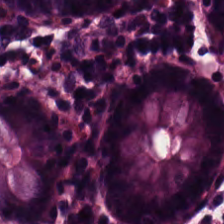H&E-stained section; the field shows normal colonic mucosa.
